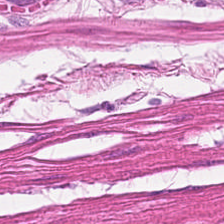Hematoxylin and eosin.
{"tissue_type": "smooth muscle"}
